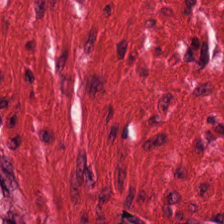Hematoxylin and eosin — Smooth muscle.
